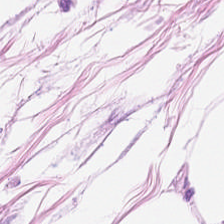The predominant tissue is adipose tissue.
